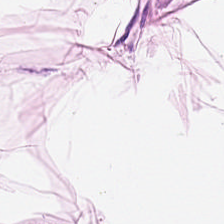Hematoxylin-and-eosin stained section.
This patch shows adipose.
